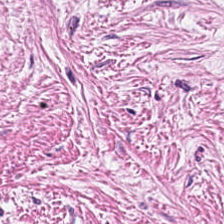FFPE · brightfield microscopy · hematoxylin-and-eosin stained section.
Q: What is the predominant tissue type?
A: It is cancer-associated stroma.
